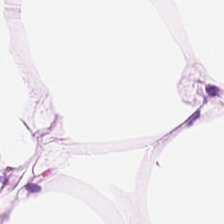H&E-stained tissue section. 224×224 px tile.
Tissue class — adipose tissue.
